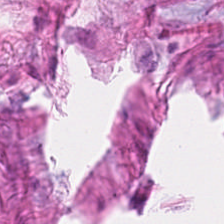Hematoxylin-and-eosin stained section.
{"tissue_type": "tumor stroma"}
